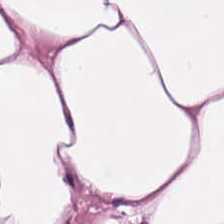H&E. 0.5 µm/px. 224×224 px patch.
The tissue here is adipocytes.
